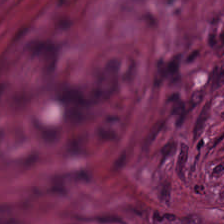Hematoxylin and eosin — Finding → cancer-associated stroma.
